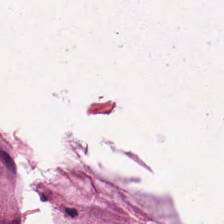0.5 µm per pixel; WSI patch; H&E. Q: What does this patch show?
A: The field shows mucus.
